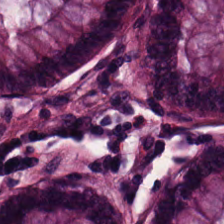H&E stain — The tissue class is normal colon mucosa.
